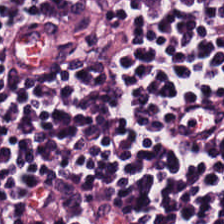Q: What is shown here?
A: It is lymphocyte aggregate.
